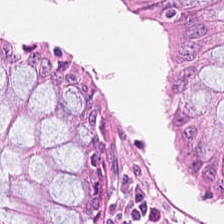Stain: hematoxylin and eosin.
Tissue class: non-neoplastic colon mucosa.
